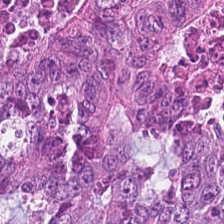Hematoxylin-and-eosin stained section.
Showing adenocarcinoma.
